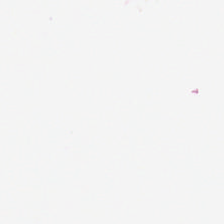Formalin-fixed paraffin-embedded section; H&E — Content: no tissue.
